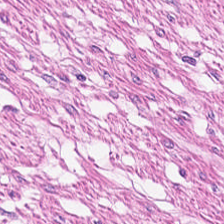224×224 px patch. Hematoxylin and eosin. 0.5 microns per pixel — The tissue here is smooth muscle.
